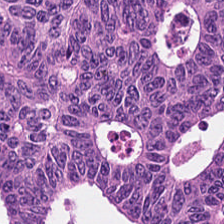Q: What is shown in this field?
A: It is tumor epithelium.
